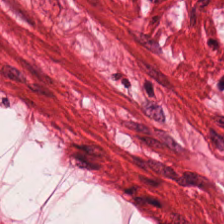H&E stain — Muscularis.
